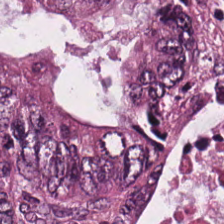Hematoxylin-and-eosin stained section — Q: What is shown in this field?
A: The field shows malignant epithelium.
